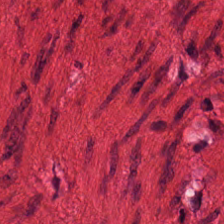Hematoxylin-and-eosin stained section.
Predominant tissue — muscularis.
